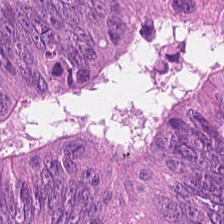0.5 µm/px · hematoxylin and eosin — Tissue type — colorectal adenocarcinoma epithelium.
